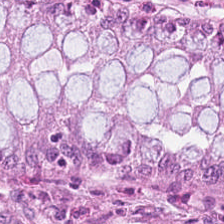FFPE tissue section · 224×224 px patch · hematoxylin-and-eosin stained section — Q: What is the predominant tissue type?
A: It is benign colonic mucosa.
